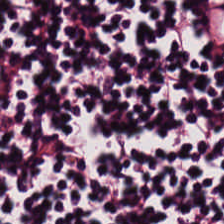H&E-stained tissue section. 0.5 µm per pixel.
Classification = lymphocytic infiltrate.
